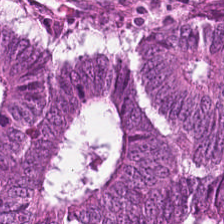H&E-stained tissue section. This field is malignant epithelium.
